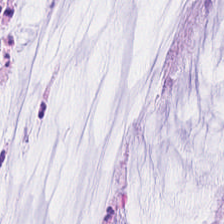The predominant tissue is mucus.
